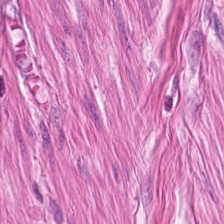H&E-stained tissue section. 224×224 px tile. Q: What is shown in this field?
A: Smooth muscle.
